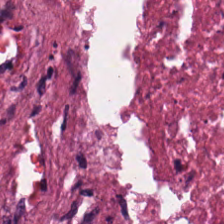Hematoxylin and eosin.
Cellular debris.
